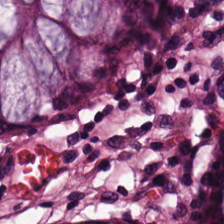224×224 px patch. H&E stain. FFPE. Predominant tissue = benign colonic mucosa.
